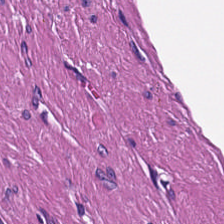Hematoxylin and eosin · 0.5 µm/px · 224×224 px patch.
Smooth muscle.
